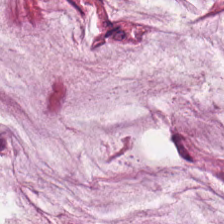Classification: mucus.
